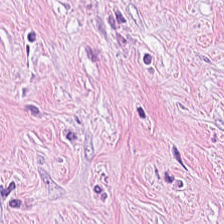The predominant tissue is cancer-associated stroma.
